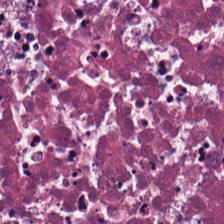H&E stain.
Predominantly cellular debris.
